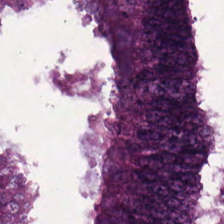FFPE tissue section. Hematoxylin and eosin.
This patch shows colorectal adenocarcinoma.
